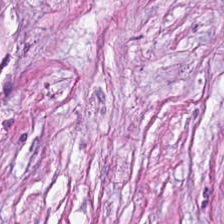H&E. The tissue here is cancer-associated stroma.
